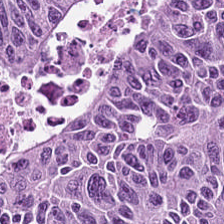H&E. Classification = tumor epithelium.
